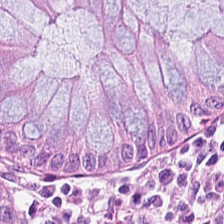FFPE tissue section · whole-slide-image patch · hematoxylin-and-eosin stained section. Normal colonic mucosa.
